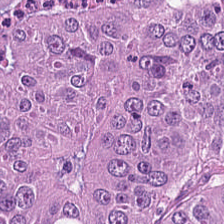Stain: hematoxylin and eosin.
Resolution: 20× equivalent magnification.
Predominant tissue: adenocarcinoma.
